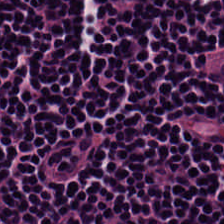Stain: H&E-stained tissue section.
Tile size: 224×224 pixel tile.
Tissue type: lymphocyte aggregate.
